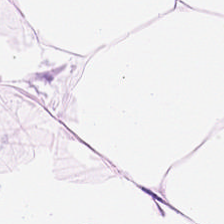Hematoxylin-and-eosin stained section. Q: Classify this patch.
A: Fat tissue.
